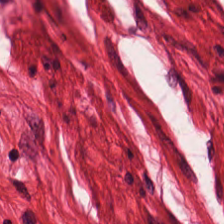FFPE tissue section. Hematoxylin and eosin. WSI patch. Predominantly muscularis.
